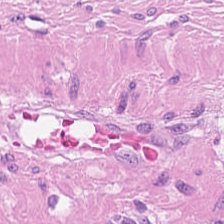Tissue = muscularis.
